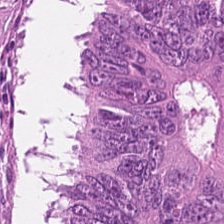Q: What does this patch show?
A: This is colorectal adenocarcinoma.
